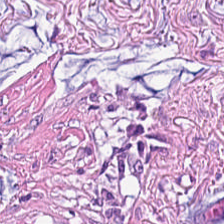H&E-stained tissue section.
Finding → tumor-associated stroma.
